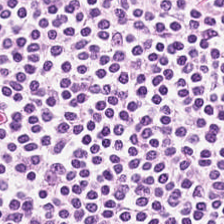224×224 px patch. H&E-stained tissue section. Formalin-fixed paraffin-embedded section.
Histology → lymphocytic infiltrate.
